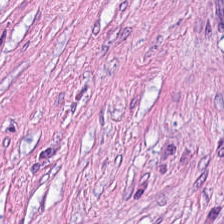H&E-stained tissue section showing tumor stroma.
